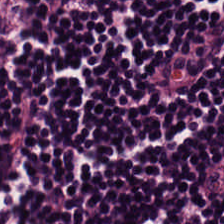This field is lymphoid infiltrate.
